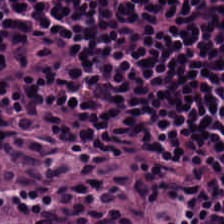Hematoxylin and eosin.
Q: What type of tissue is this?
A: It is lymphoid infiltrate.
